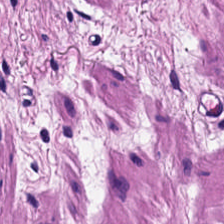Brightfield. H&E-stained tissue section — Tissue type: muscularis.
